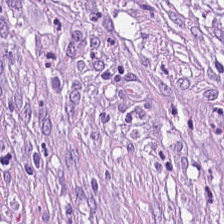H&E stain; brightfield microscopy.
{"tissue_type": "desmoplastic stroma"}
